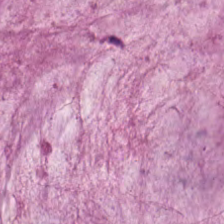FFPE; H&E stain. Tissue class = extracellular mucin.
